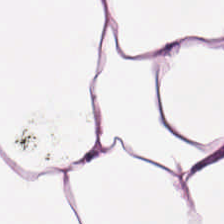H&E. Q: Identify the tissue.
A: The field shows adipose tissue.
